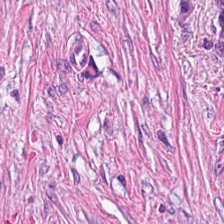H&E-stained tissue section. {"tissue_type": "tumor-associated stroma"}
